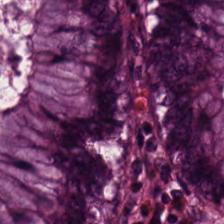FFPE; brightfield; hematoxylin and eosin.
The tissue type is non-neoplastic colon mucosa.
